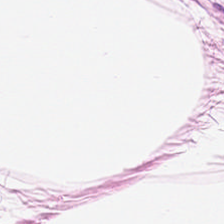H&E patch showing fat tissue.
